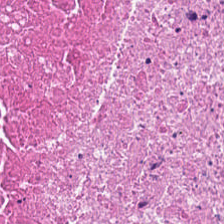Whole-slide-image patch. Hematoxylin and eosin. Predominant tissue = necrotic debris.
